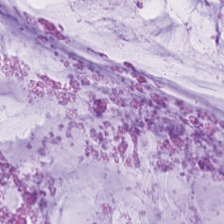FFPE tissue section; H&E — Q: What does this patch show?
A: This is extracellular mucin.
